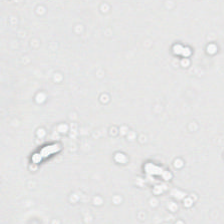Stain: H&E stain.
Preparation: FFPE tissue section.
Classification: background (no tissue).
